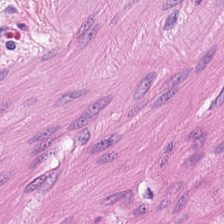Stain: H&E.
Tissue: smooth muscle.
